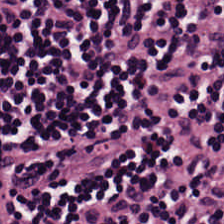Stain: H&E-stained tissue section.
Resolution: 0.5 microns per pixel.
Preparation: FFPE tissue section.
Tissue class: lymphocytes.
